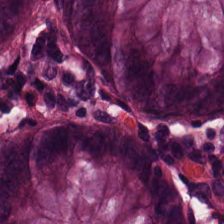H&E stain. Whole-slide-image patch — Tissue = normal colonic mucosa.
